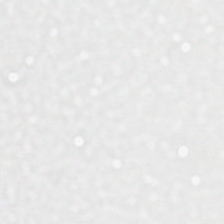0.5 µm/px · H&E-stained tissue section.
Background — no tissue in this field.
